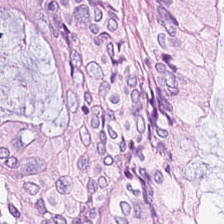Hematoxylin-and-eosin stained section — Finding — normal colonic mucosa.
